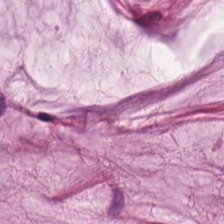Hematoxylin and eosin.
The predominant tissue is mucin.
